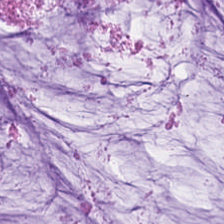FFPE. Hematoxylin and eosin. Impression — mucus.
